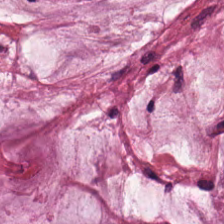H&E-stained tissue section. The predominant tissue is extracellular mucin.
